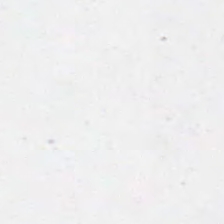Hematoxylin and eosin; 224×224 pixel tile.
{"content": "empty background"}
